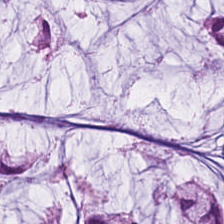Histology — mucin.
